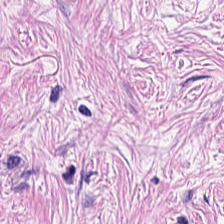H&E stain.
Q: Classify this patch.
A: It is cancer-associated stroma.
